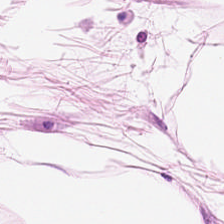Hematoxylin-and-eosin stained section. Predominantly adipose tissue.
